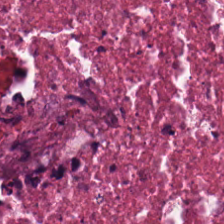Brightfield microscopy; hematoxylin and eosin; 224×224 px patch. Tissue type — necrotic debris.
